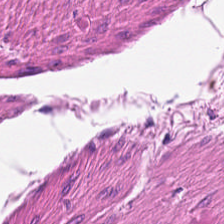Q: What tissue is shown?
A: The field shows smooth muscle.
